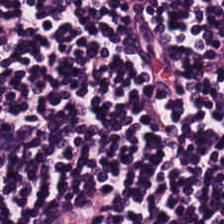Stain: hematoxylin-and-eosin stained section.
Tissue type: lymphoid infiltrate.
